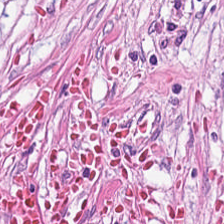H&E — This patch shows cancer-associated stroma.
